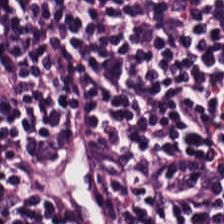WSI patch; H&E-stained tissue section. Finding — lymphocytic infiltrate.
